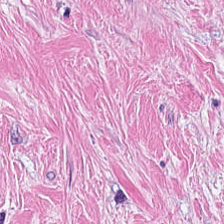0.5 µm/px · hematoxylin-and-eosin stained section. The tissue is tumor-associated stroma.
